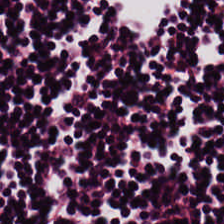H&E — Q: What does this patch show?
A: The field shows lymphocytic infiltrate.
